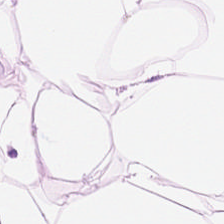Hematoxylin and eosin. Formalin-fixed paraffin-embedded section.
Q: Identify the tissue.
A: It is adipose.
